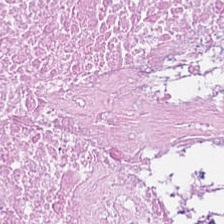20× equivalent magnification · brightfield · H&E stain.
The predominant tissue is necrotic debris.
